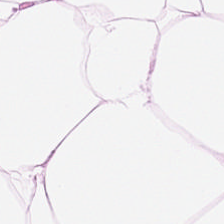H&E stain — Impression → adipose tissue.
